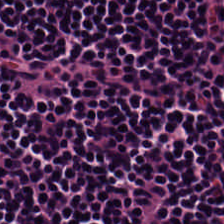Hematoxylin-and-eosin stained section.
The tissue class is lymphocyte aggregate.
